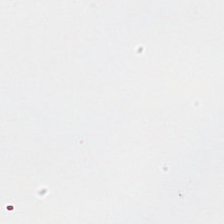H&E stain.
Classification = empty background.
